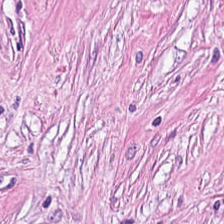This field is desmoplastic stroma.
